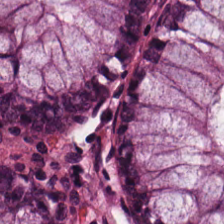Hematoxylin and eosin. Brightfield microscopy.
The predominant tissue is benign colonic mucosa.
